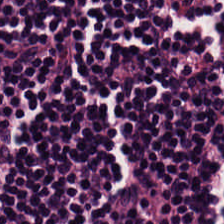H&E — The predominant tissue is lymphoid infiltrate.
